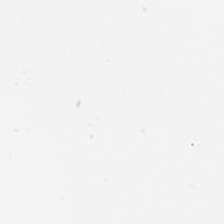H&E-stained tissue section.
This field is background (no tissue).
